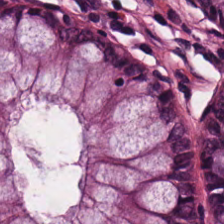Stain: hematoxylin and eosin.
Acquisition: brightfield microscopy.
Tissue class: normal colonic mucosa.
